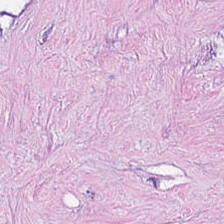H&E stain — Finding → necrotic debris.
